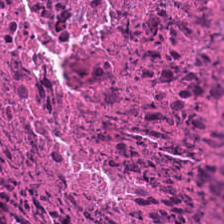Hematoxylin-and-eosin stained section · WSI patch · 0.5 microns per pixel.
Q: What is the predominant tissue type?
A: It is necrotic debris.
